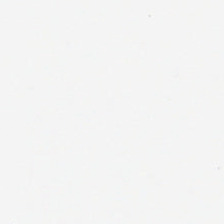Impression — empty background.
